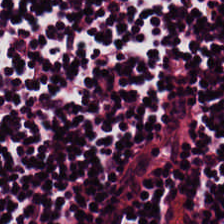H&E-stained tissue section — Lymphocyte aggregate.
